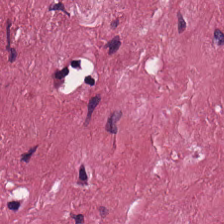H&E stain.
Predominantly tumor-associated stroma.
